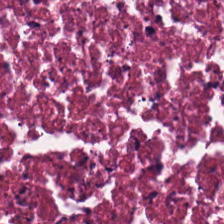Stain: H&E-stained tissue section.
Acquisition: brightfield microscopy.
Tissue: debris.
